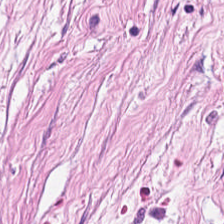The tissue here is cancer-associated stroma.
